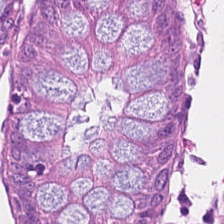Whole-slide-image patch; 224×224 px patch; hematoxylin-and-eosin stained section — Q: What tissue type is shown here?
A: Benign colonic mucosa.
